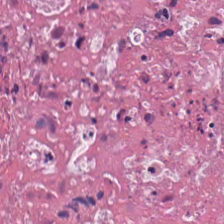H&E-stained tissue section — The tissue here is necrotic debris.
